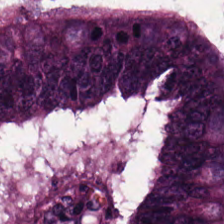H&E-stained tissue section showing adenocarcinoma.
